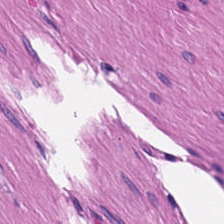0.5 µm per pixel · hematoxylin and eosin. {"tissue_type": "smooth muscle"}
